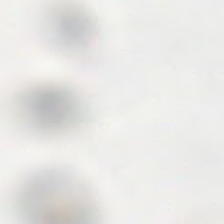20× equivalent magnification · H&E stain — Background — no tissue in this field.
